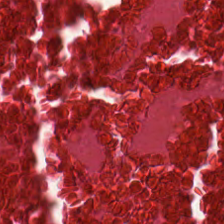H&E-stained tissue section — Q: What tissue type is shown here?
A: Cellular debris.
